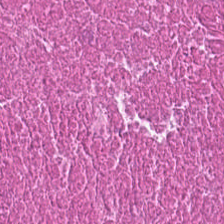224×224 px patch; 0.5 µm per pixel; hematoxylin-and-eosin stained section — Q: What tissue is shown?
A: This is cellular debris.
